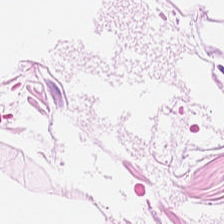H&E stain.
{"tissue_type": "adipocytes"}
